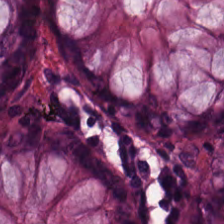H&E · formalin-fixed paraffin-embedded section. Q: Classify this patch.
A: Normal colonic mucosa.
